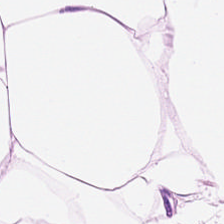0.5 µm per pixel. Hematoxylin and eosin.
Tissue = adipocytes.
